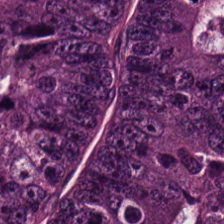The predominant tissue is colorectal adenocarcinoma.
